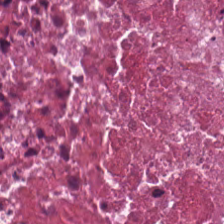H&E — Predominantly debris.
